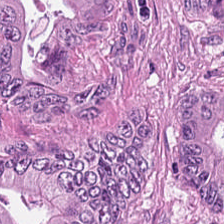Brightfield microscopy. H&E-stained tissue section. 224×224 px tile.
The tissue here is malignant epithelium.
